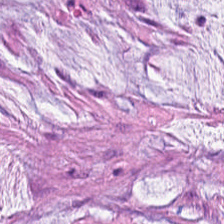Brightfield microscopy · H&E.
The tissue here is mucus.
